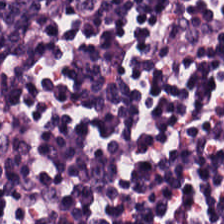H&E — Lymphocytic infiltrate.
